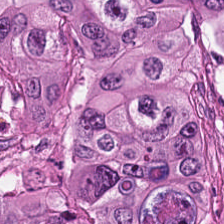H&E; FFPE; brightfield microscopy.
The predominant tissue is tumor epithelium.
